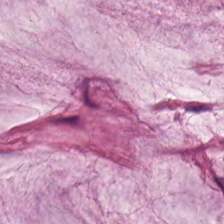WSI patch · 20× equivalent magnification · H&E-stained tissue section — The tissue class is extracellular mucin.
